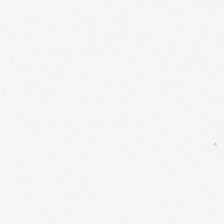H&E. Field content: empty background.
